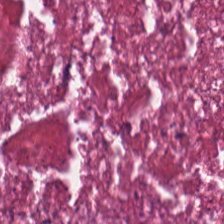H&E · WSI patch. Histology → debris.
